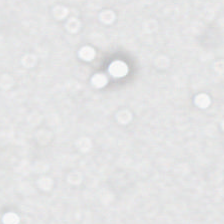H&E stain — Q: What is shown in this field?
A: Empty background.
